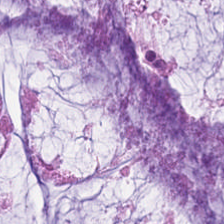Q: What is shown here?
A: This is mucus.
